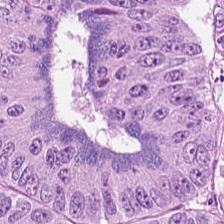20× equivalent magnification; hematoxylin-and-eosin stained section.
The classification is colorectal adenocarcinoma epithelium.
